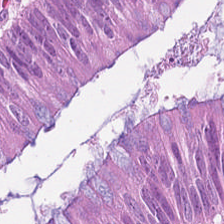Brightfield · hematoxylin and eosin. The tissue is adenocarcinoma.
